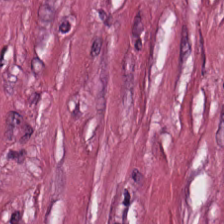Stain: hematoxylin and eosin.
Tissue: tumor-associated stroma.
